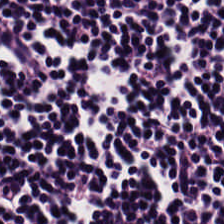H&E.
Q: What is shown in this field?
A: This is lymphocytic infiltrate.
